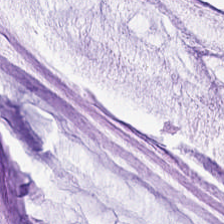Stain: H&E.
Tissue class: mucus.
